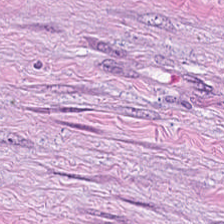Tissue type: tumor stroma.
